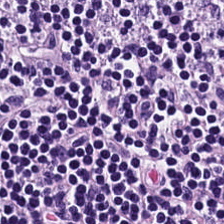FFPE; hematoxylin and eosin; whole-slide-image patch.
This field is lymphocytes.
